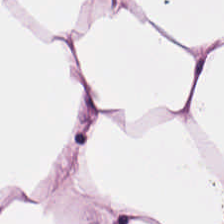H&E patch showing fat tissue.
